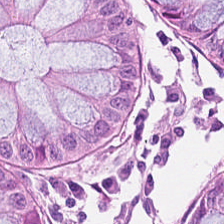This field is normal colonic mucosa.
